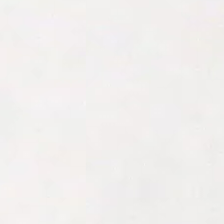Hematoxylin-and-eosin stained section. This patch shows no tissue.
